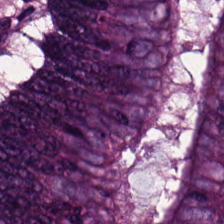224×224 pixel tile; H&E — Malignant epithelium.
